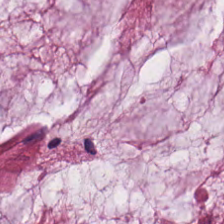H&E stain. Whole-slide-image patch. FFPE. The tissue here is mucin.
